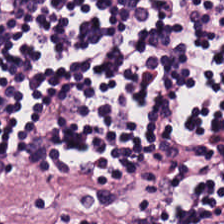Hematoxylin-and-eosin stained section.
Classification — lymphoid infiltrate.
